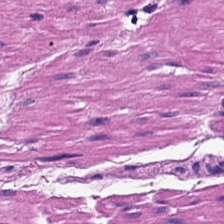{"tissue_type": "smooth-muscle tissue"}
